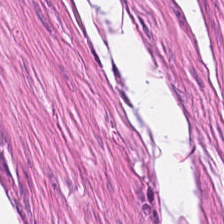The classification is muscularis.
